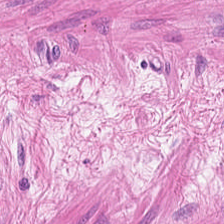FFPE; hematoxylin-and-eosin stained section; 224×224 px patch — This patch shows smooth muscle.
